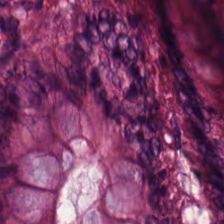{"tissue_type": "normal colon mucosa"}
